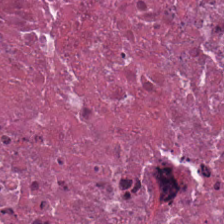Hematoxylin-and-eosin stained section — Q: Identify the tissue.
A: The field shows debris.
